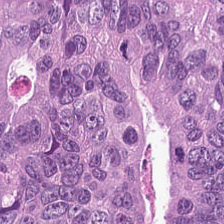Histology — colorectal adenocarcinoma epithelium.
